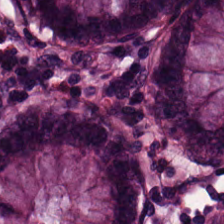Q: What is shown in this field?
A: It is non-neoplastic colon mucosa.
